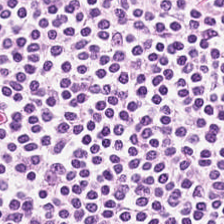224×224 px patch · H&E.
This field is lymphocytic infiltrate.
